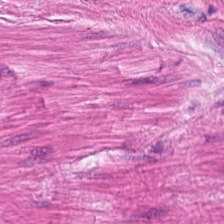Stain: H&E.
Tissue type: smooth muscle.
